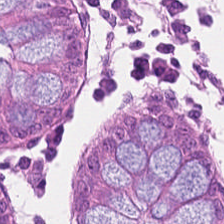H&E patch showing normal colon mucosa.
